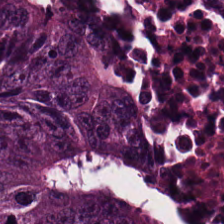H&E stain — This field is colorectal adenocarcinoma epithelium.
